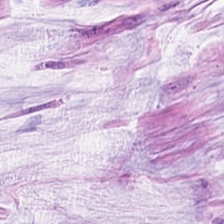Hematoxylin-and-eosin stained section — Q: What tissue type is shown here?
A: The field shows mucus.
